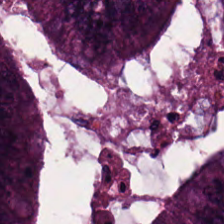224×224 px patch · FFPE · H&E — Q: Identify the tissue.
A: Colorectal adenocarcinoma.
